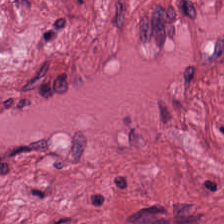H&E stain. Tissue class — desmoplastic stroma.
